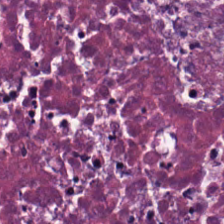Hematoxylin-and-eosin stained section. This patch shows cellular debris.
